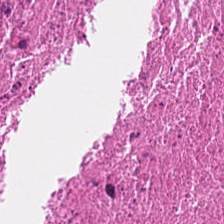H&E — This field is debris.
